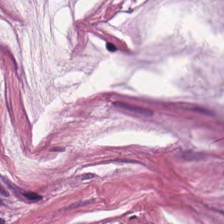Stain: hematoxylin-and-eosin stained section.
Tissue class: extracellular mucin.
